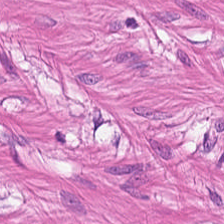Whole-slide-image patch. 224×224 pixel tile. H&E stain. Tissue: muscularis.
